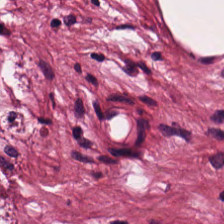0.5 µm per pixel; FFPE; hematoxylin and eosin — Desmoplastic stroma.
